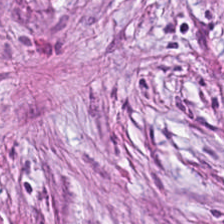224×224 px tile. FFPE. H&E. Predominant tissue = tumor-associated stroma.
